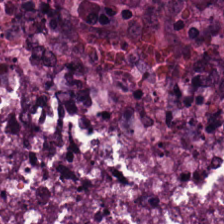224×224 pixel tile; hematoxylin-and-eosin stained section — The tissue is colorectal adenocarcinoma.
